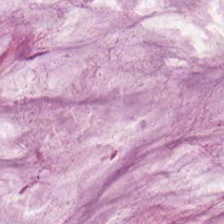Hematoxylin-and-eosin stained section. The predominant tissue is mucin.
